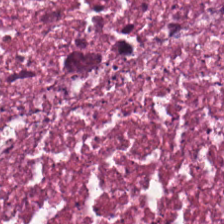Hematoxylin-and-eosin stained section. Q: Classify this patch.
A: It is necrotic debris.
